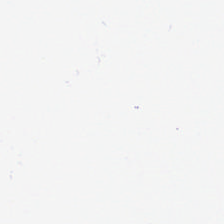Q: What does this patch show?
A: This is no tissue.
